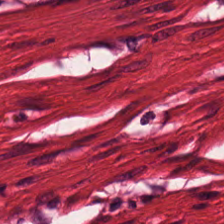Predominant tissue = muscularis.
